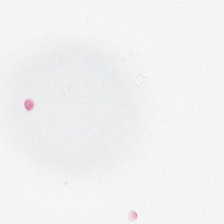H&E — Empty field — background.
